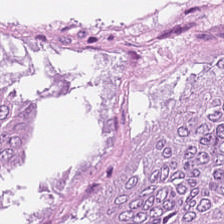WSI patch. H&E stain.
Q: What is shown here?
A: Colorectal adenocarcinoma.
